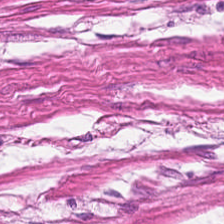H&E. Predominant tissue: muscularis.
